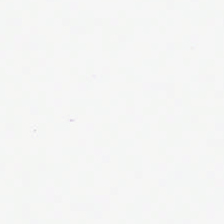Q: What is shown in this field?
A: This is background (no tissue).
